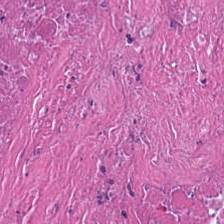H&E stain. Predominant tissue: necrotic debris.
